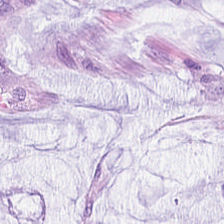Stain: H&E.
Tissue class: mucin.
